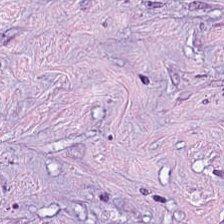H&E-stained tissue section showing tumor stroma.
